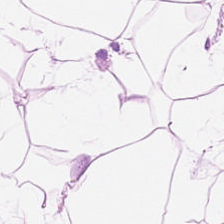Stain: H&E-stained tissue section.
Tissue type: adipocytes.
